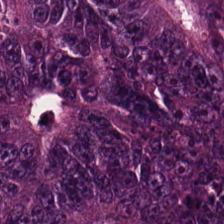WSI patch; hematoxylin and eosin.
Malignant epithelium.
